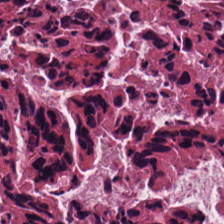Classification — necrotic debris.
